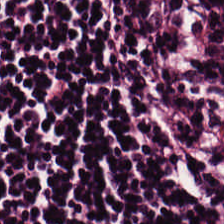H&E-stained tissue section · 0.5 µm/px — The tissue here is lymphoid infiltrate.
